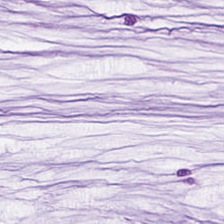The classification is mucus.
